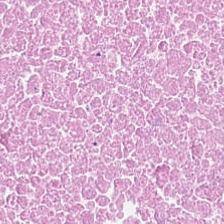H&E · 224×224 pixel tile.
Impression → necrotic debris.
